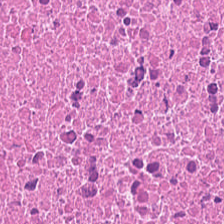Tissue — cellular debris.
